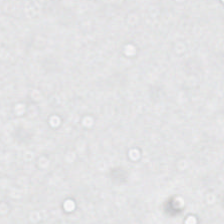FFPE tissue section; H&E; 224×224 pixel tile.
Classification — background.
